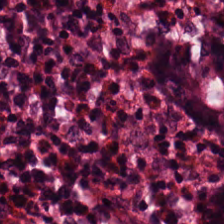Whole-slide-image patch. Hematoxylin and eosin — Benign colonic mucosa.
